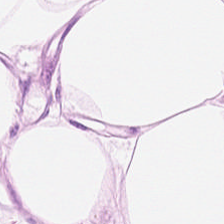Stain: hematoxylin-and-eosin stained section.
Tissue type: adipose.
